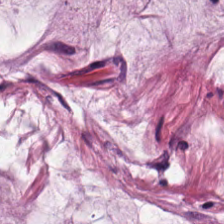H&E — mucus.
